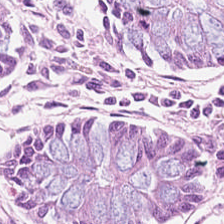H&E-stained tissue section; 224×224 px patch; WSI patch. {"tissue_type": "non-neoplastic colon mucosa"}
